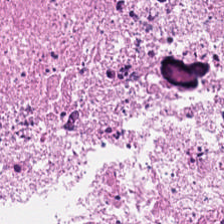Stain: H&E-stained tissue section.
Preparation: FFPE.
Tile size: 224×224 px tile.
Tissue: cellular debris.
